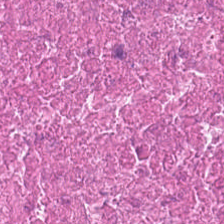Tissue: necrotic debris.
